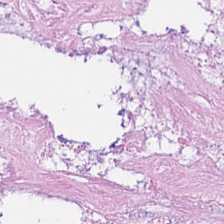H&E · WSI patch · 0.5 µm per pixel. Q: What does this patch show?
A: This is cellular debris.
